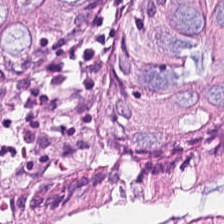Hematoxylin and eosin · formalin-fixed paraffin-embedded section · 224×224 px patch — Tissue class: non-neoplastic colon mucosa.
